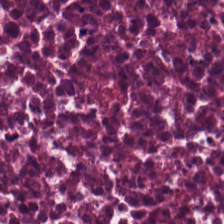Hematoxylin-and-eosin stained section.
This field is debris.
